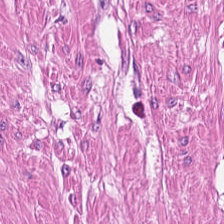H&E-stained tissue section — Q: What type of tissue is this?
A: It is muscularis.
